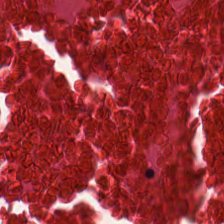0.5 µm per pixel · hematoxylin-and-eosin stained section — Necrotic debris.
